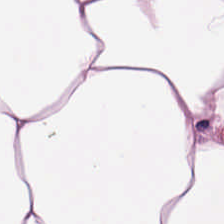H&E stain — Q: Classify this patch.
A: Adipose.
